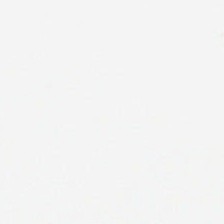Empty field — background (no tissue).
